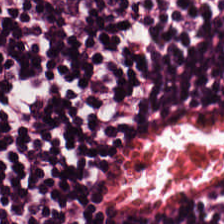Hematoxylin and eosin. Q: Identify the tissue.
A: It is lymphocytes.
